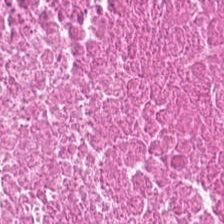H&E stain. Q: What tissue type is shown here?
A: The field shows debris.
